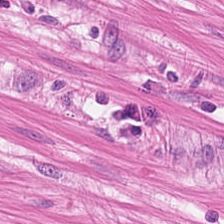Brightfield. H&E stain — The predominant tissue is muscularis.
